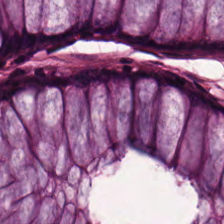Predominant tissue — non-neoplastic colon mucosa.
